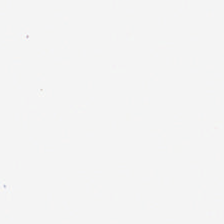Stain: H&E-stained tissue section.
Acquisition: brightfield.
Content: background.
